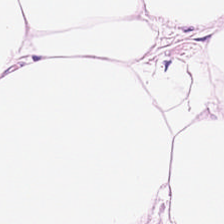H&E-stained tissue section — Classification: adipose tissue.
